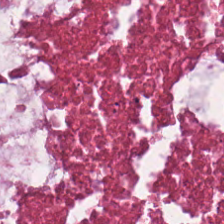Hematoxylin and eosin. Q: What is shown in this field?
A: It is debris.
